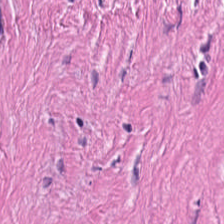0.5 microns per pixel · H&E stain. The tissue here is tumor-associated stroma.
